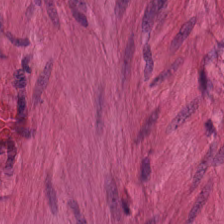H&E — Impression — smooth-muscle tissue.
